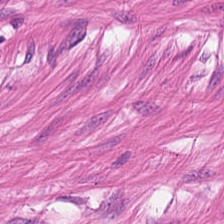H&E-stained tissue section showing smooth muscle.
